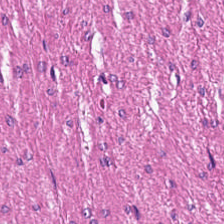Hematoxylin-and-eosin stained section.
Q: What is shown in this field?
A: Smooth muscle.
